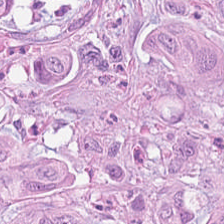Hematoxylin-and-eosin stained section. Histology — adenocarcinoma.
